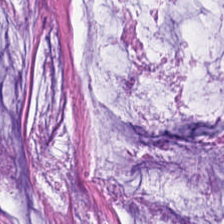H&E stain. Tissue type — mucin.
